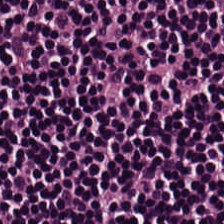H&E. The predominant tissue is lymphocytic infiltrate.
